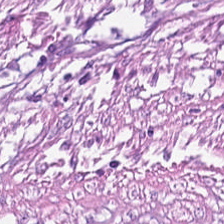Q: What does this patch show?
A: Cancer-associated stroma.
